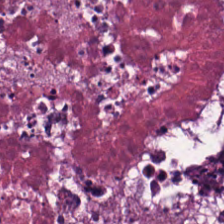H&E-stained tissue section — {"tissue_type": "debris"}
